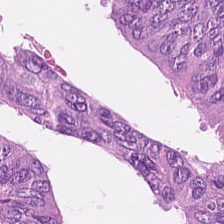Hematoxylin-and-eosin stained section — Q: What tissue type is shown here?
A: Colorectal adenocarcinoma.
